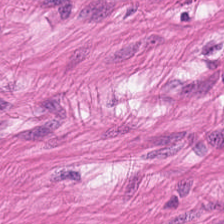H&E — Tissue: muscularis.
